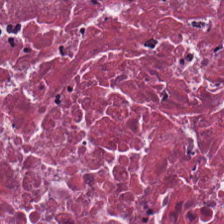H&E-stained tissue section; 0.5 microns per pixel.
Showing necrotic debris.
